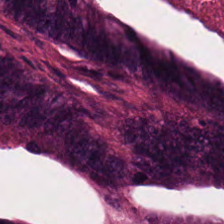Hematoxylin and eosin.
Showing adenocarcinoma.
